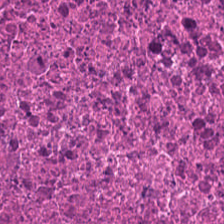H&E-stained tissue section — Q: What is the predominant tissue type?
A: This is necrotic debris.
